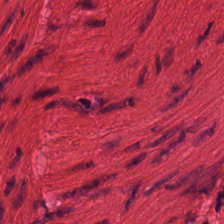H&E. This patch shows smooth muscle.
